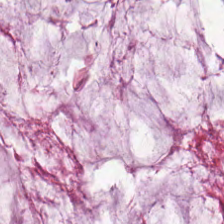H&E-stained section; the field shows mucus.
